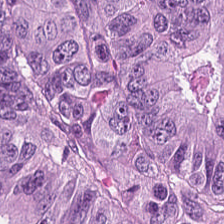Tissue type = colorectal adenocarcinoma.
